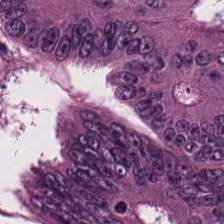H&E-stained tissue section — Predominantly malignant epithelium.
